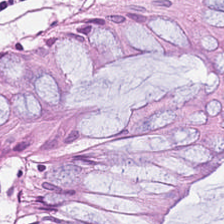224×224 pixel tile. FFPE tissue section. Hematoxylin-and-eosin stained section — The classification is normal colonic mucosa.
